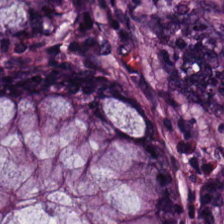Hematoxylin-and-eosin stained section · FFPE.
Tissue: benign colonic mucosa.
